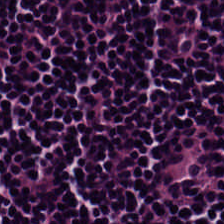224×224 px tile. 20× equivalent magnification. H&E-stained tissue section. Histology → lymphoid infiltrate.
